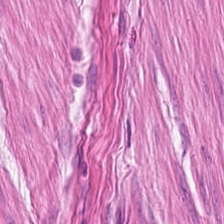Classification: muscularis.
